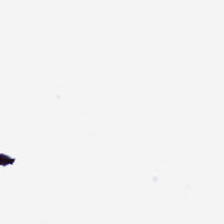This field is background (no tissue).
